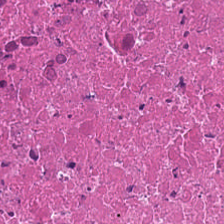Hematoxylin-and-eosin section: cellular debris.
